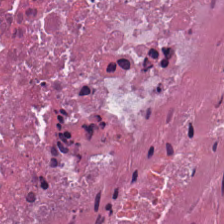Predominantly necrotic debris.
